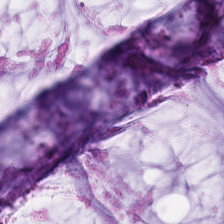Hematoxylin-and-eosin stained section. FFPE tissue section. This patch shows extracellular mucin.
